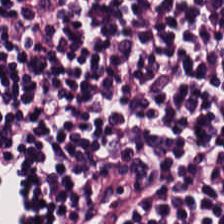Showing lymphocytic infiltrate.
